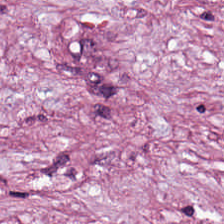0.5 µm per pixel; H&E. This patch shows tumor stroma.
